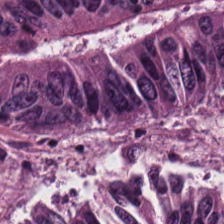H&E.
Tissue = colorectal adenocarcinoma.
